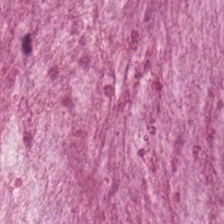H&E. Formalin-fixed paraffin-embedded section — Q: What tissue is shown?
A: The field shows extracellular mucin.
